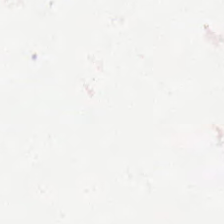H&E. Q: What is shown here?
A: The field shows no tissue.
